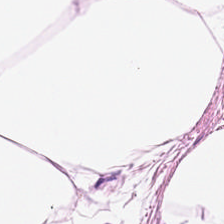Hematoxylin-and-eosin stained section. Histology — adipose.
